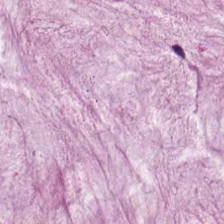Hematoxylin and eosin.
Showing extracellular mucin.
